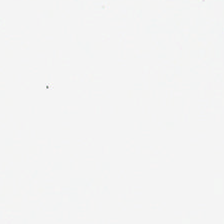Stain: hematoxylin and eosin.
Field content: no tissue.
